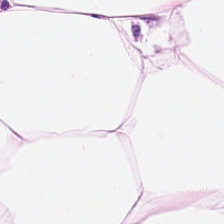Hematoxylin and eosin. Q: What is shown here?
A: Adipose tissue.
